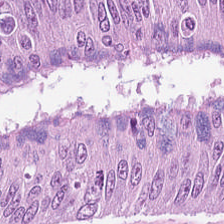Q: Classify this patch.
A: The field shows adenocarcinoma.
